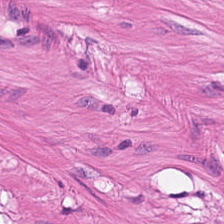Finding → smooth-muscle tissue.
